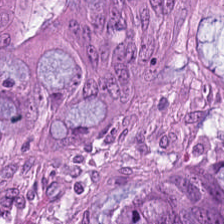Stain: hematoxylin-and-eosin stained section.
Acquisition: brightfield.
Tissue type: malignant epithelium.
